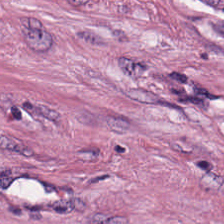Hematoxylin and eosin · 224×224 pixel tile · 0.5 µm/px. Q: What is shown here?
A: Tumor-associated stroma.
